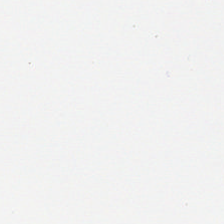Hematoxylin and eosin. Background — no tissue in this field.
